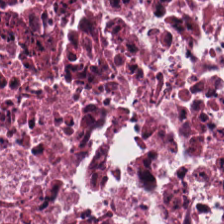Tissue type = debris.
